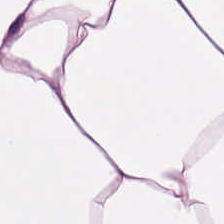Q: What is shown here?
A: The field shows fat tissue.
